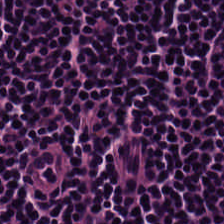H&E-stained tissue section. Whole-slide-image patch.
Impression — lymphoid infiltrate.
